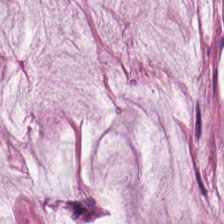Hematoxylin and eosin.
Finding — mucus.
